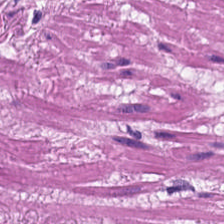H&E stain. The tissue class is smooth-muscle tissue.
